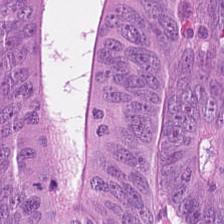Stain: hematoxylin and eosin.
Classification: malignant epithelium.
